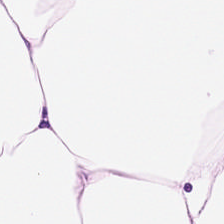Formalin-fixed paraffin-embedded section. 0.5 µm/px. H&E stain.
Histology — adipose.
